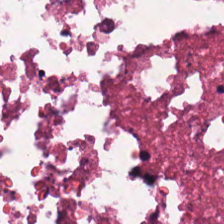H&E. This patch shows cellular debris.
